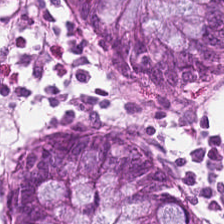Brightfield microscopy · hematoxylin and eosin · 224×224 px tile.
Q: What is shown here?
A: It is normal colon mucosa.
